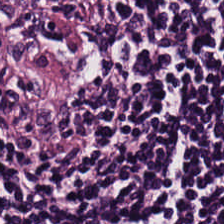Brightfield · hematoxylin and eosin. This field is lymphoid infiltrate.
